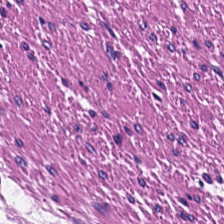Hematoxylin-and-eosin stained section. The predominant tissue is muscularis.
